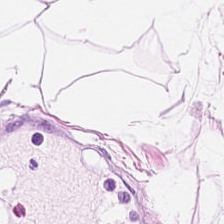H&E stain — The tissue type is adipose tissue.
